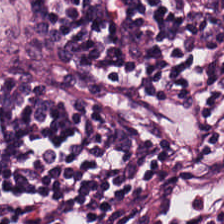Predominant tissue: lymphocyte aggregate.
